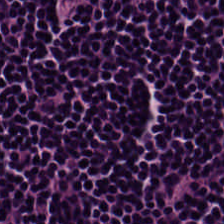H&E-stained tissue section — Q: Identify the tissue.
A: This is lymphocyte aggregate.
